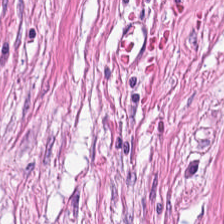Hematoxylin and eosin; brightfield microscopy; formalin-fixed paraffin-embedded section.
Q: Classify this patch.
A: The field shows desmoplastic stroma.
